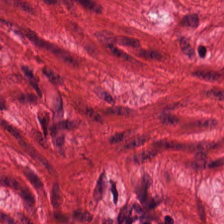Showing smooth-muscle tissue.
